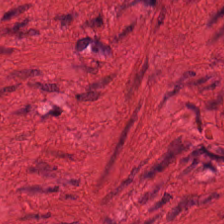Hematoxylin-and-eosin section: smooth muscle.
